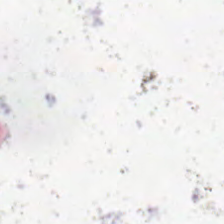Hematoxylin and eosin — No tissue present; background only.
